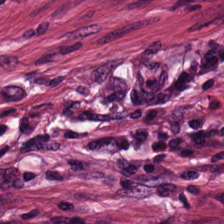Finding — tumor-associated stroma.
